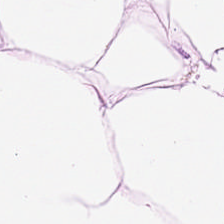Hematoxylin-and-eosin stained section; 224×224 px tile. Predominant tissue: adipocytes.
